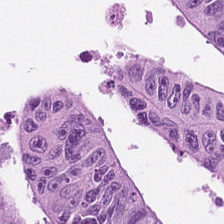H&E-stained tissue section.
The predominant tissue is adenocarcinoma.
